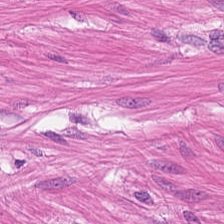Hematoxylin and eosin — Tissue type: smooth muscle.
